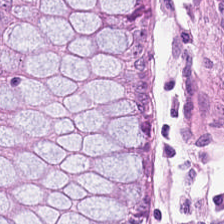H&E.
Tissue = benign colonic mucosa.
